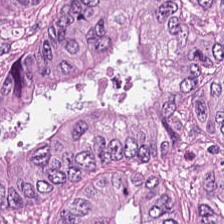H&E stain — Predominant tissue — tumor epithelium.
